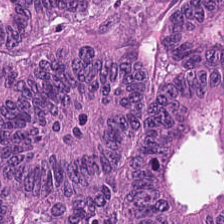Q: What is shown in this field?
A: This is adenocarcinoma.
